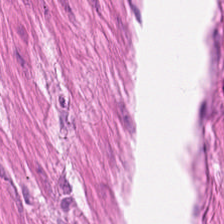224×224 pixel tile; H&E-stained tissue section.
Q: What is shown in this field?
A: It is muscularis.
